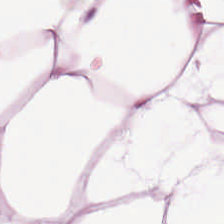H&E. 0.5 µm per pixel — {"tissue_type": "adipose tissue"}
